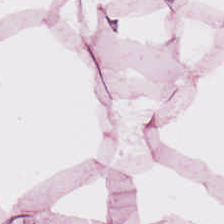H&E stain.
The classification is adipose tissue.
